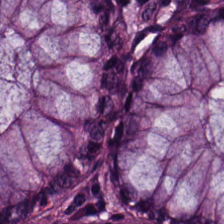H&E — Predominant tissue = non-neoplastic colon mucosa.
